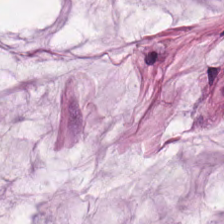0.5 µm/px; H&E stain.
Classification — extracellular mucin.
